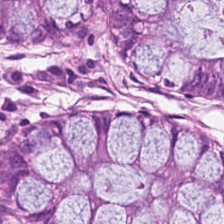Hematoxylin and eosin. This patch shows normal colon mucosa.
